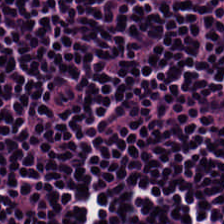FFPE · hematoxylin and eosin — Tissue — lymphoid infiltrate.
